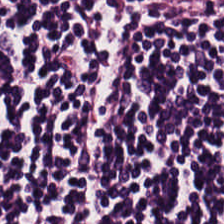Predominantly lymphoid infiltrate.
